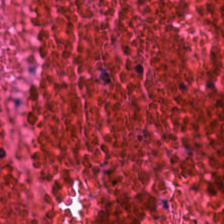H&E-stained tissue section · WSI patch. Finding — debris.
